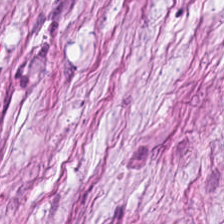Stain: hematoxylin and eosin.
Classification: cancer-associated stroma.
